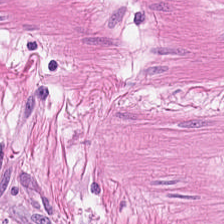This patch shows smooth-muscle tissue.
